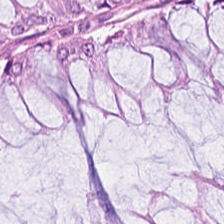Q: Identify the tissue.
A: It is normal colonic mucosa.
